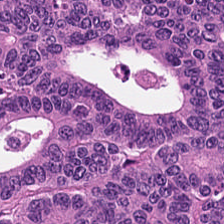H&E-stained tissue section.
Q: What tissue is shown?
A: The field shows colorectal adenocarcinoma.
